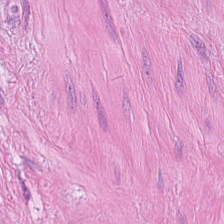The tissue here is smooth muscle.
